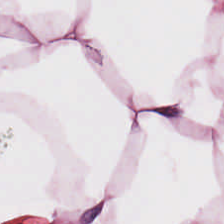Predominant tissue = adipose.
